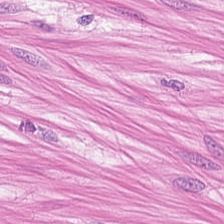H&E.
Histology — smooth-muscle tissue.
